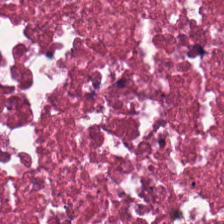Hematoxylin and eosin.
Classification = necrotic debris.
